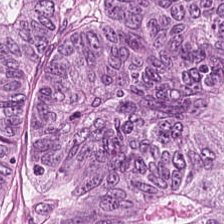Q: What is the predominant tissue type?
A: This is colorectal adenocarcinoma.
